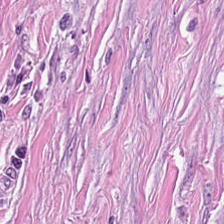H&E stain.
{"tissue_type": "tumor-associated stroma"}
